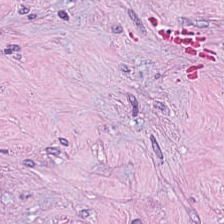The tissue type is cellular debris.
